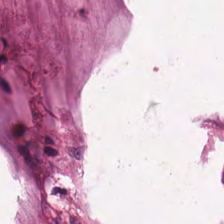Stain: H&E.
Acquisition: brightfield.
Classification: mucus.
